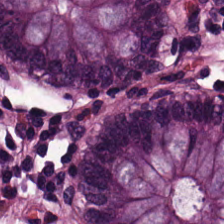{"tissue_type": "non-neoplastic colon mucosa"}
